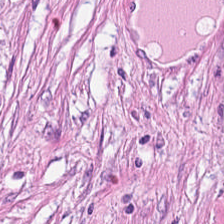H&E.
Showing tumor stroma.
